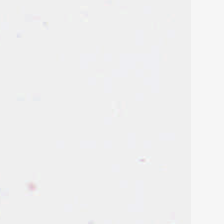Empty field — background.
